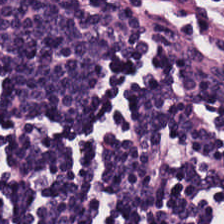Stain: H&E stain.
Tissue class: lymphocytic infiltrate.
